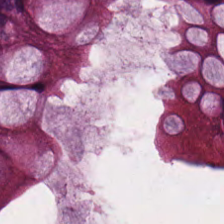0.5 µm per pixel · 224×224 px patch · H&E-stained tissue section. The predominant tissue is normal colon mucosa.
